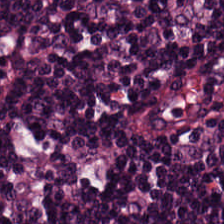Stain: hematoxylin and eosin.
Tissue type: lymphocyte aggregate.
